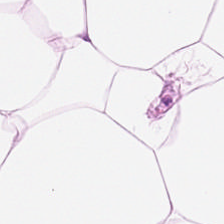H&E-stained tissue section; 224×224 px patch.
{"tissue_type": "adipocytes"}
